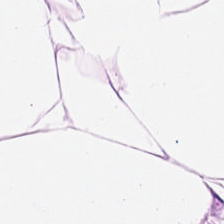H&E. Showing adipocytes.
